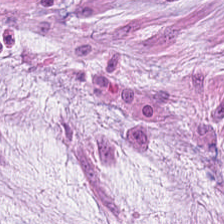Hematoxylin-and-eosin stained section — Showing mucus.
